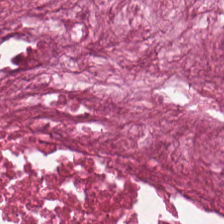H&E-stained tissue section.
This patch shows debris.
